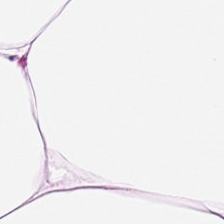Stain: H&E stain.
Tile size: 224×224 px patch.
Preparation: FFPE.
Tissue class: adipocytes.
